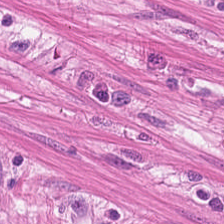Stain: H&E.
Tissue: smooth-muscle tissue.
